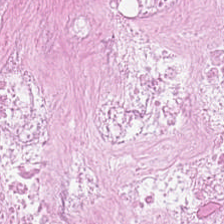H&E.
Q: What does this patch show?
A: The field shows necrotic debris.
